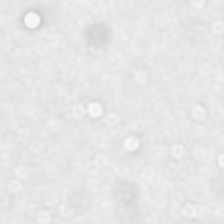H&E-stained tissue section; FFPE tissue section. Empty field — empty background.
